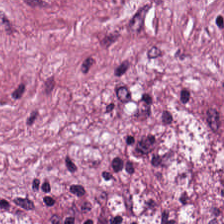WSI patch · hematoxylin and eosin.
Predominant tissue: desmoplastic stroma.
